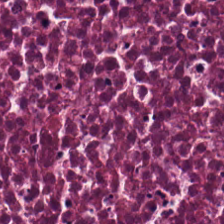Q: What is shown in this field?
A: This is necrotic debris.
